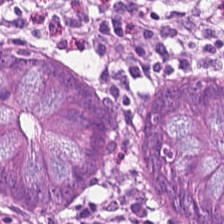The tissue here is non-neoplastic colon mucosa.
